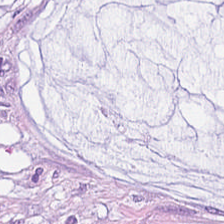Predominant tissue: mucus.
